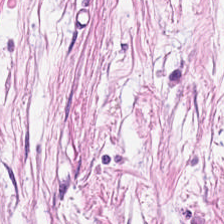Stain: hematoxylin-and-eosin stained section.
Tissue class: cancer-associated stroma.
